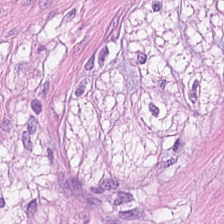{"tissue_type": "smooth muscle"}
